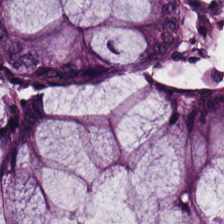H&E-stained tissue section — Predominant tissue — benign colonic mucosa.
